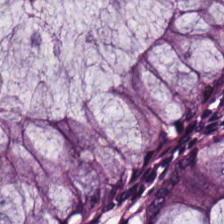H&E; 20× equivalent magnification — {"tissue_type": "non-neoplastic colon mucosa"}
